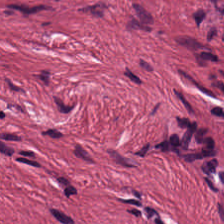Q: Classify this patch.
A: It is cancer-associated stroma.
